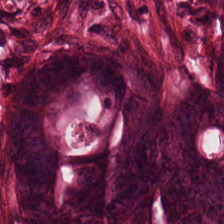Hematoxylin and eosin.
Predominantly colorectal adenocarcinoma epithelium.
